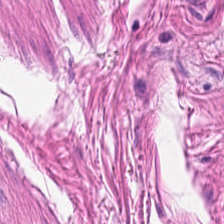The tissue is smooth-muscle tissue.
